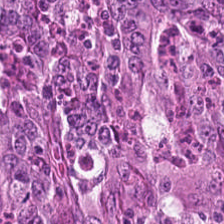H&E-stained tissue section; FFPE tissue section; 224×224 px patch.
Tissue class = colorectal adenocarcinoma epithelium.
